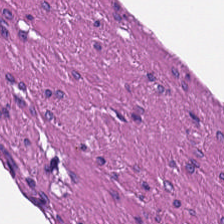The predominant tissue is muscularis.
